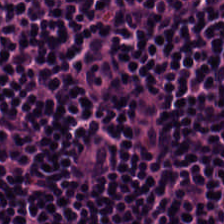Hematoxylin and eosin · formalin-fixed paraffin-embedded section. Predominantly lymphoid infiltrate.
